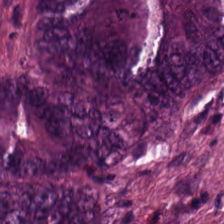0.5 µm/px · hematoxylin-and-eosin stained section · brightfield.
Adenocarcinoma.
